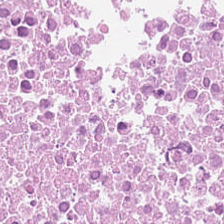H&E-stained tissue section — Tissue type = necrotic debris.
